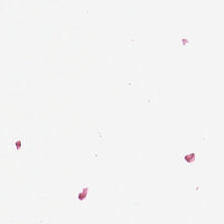H&E stain. This field is background (no tissue).
